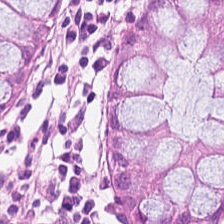Hematoxylin-and-eosin stained section. FFPE tissue section. Whole-slide-image patch.
This patch shows normal colon mucosa.
